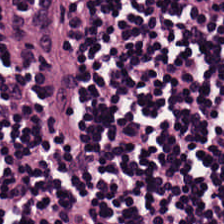Finding — lymphocyte aggregate.
